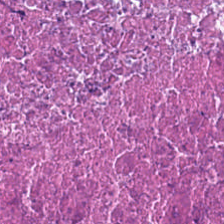Hematoxylin-and-eosin stained section.
Tissue type = necrotic debris.
